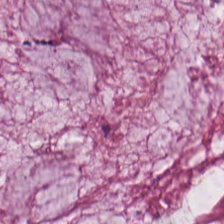Q: What tissue type is shown here?
A: It is mucin.
